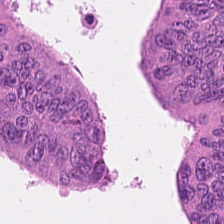20× equivalent magnification · H&E stain. This field is colorectal adenocarcinoma epithelium.
